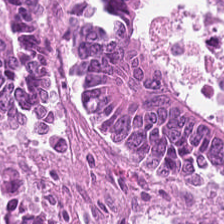Hematoxylin and eosin. FFPE tissue section.
Q: Classify this patch.
A: Adenocarcinoma.
